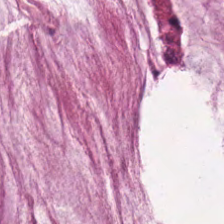{"tissue_type": "extracellular mucin"}
